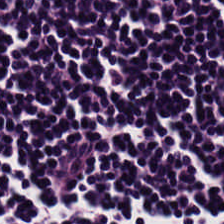Predominant tissue — lymphoid infiltrate.
